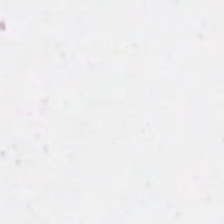FFPE tissue section; H&E-stained tissue section.
Background.
